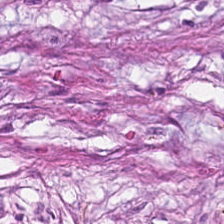Predominantly cancer-associated stroma.
